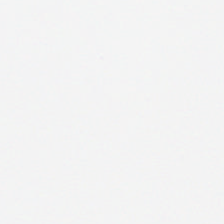Formalin-fixed paraffin-embedded section. Hematoxylin and eosin — Q: What does this patch show?
A: No tissue.
